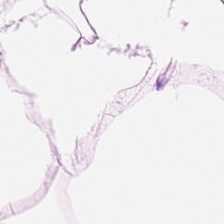Hematoxylin-and-eosin stained section. Classification = adipocytes.
